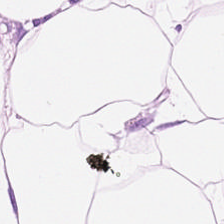WSI patch. H&E stain. 0.5 µm per pixel. Predominantly adipose tissue.
